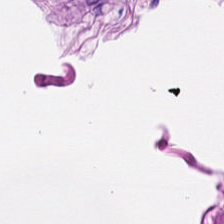H&E-stained tissue section. Tissue class: smooth-muscle tissue.
